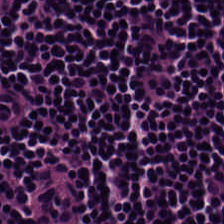H&E-stained tissue section.
Tissue class: lymphoid infiltrate.
